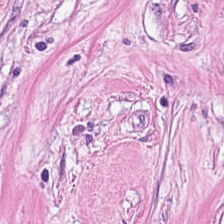Stain: H&E-stained tissue section.
Acquisition: whole-slide-image patch.
Resolution: 20× equivalent magnification.
Classification: tumor-associated stroma.
